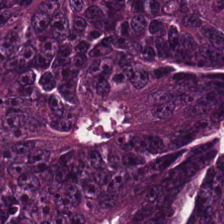0.5 µm per pixel · H&E-stained tissue section. Q: What does this patch show?
A: Tumor epithelium.
